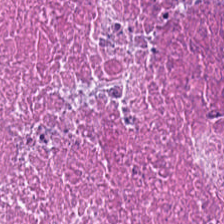Hematoxylin and eosin.
This patch shows debris.
